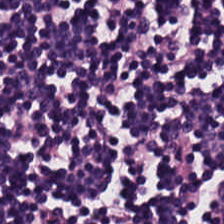Q: What type of tissue is this?
A: It is lymphocytic infiltrate.
